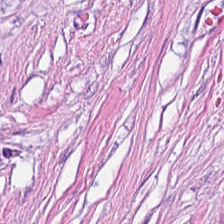The predominant tissue is tumor stroma.
